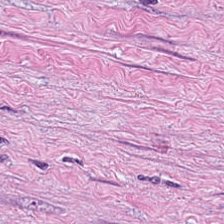H&E-stained tissue section. Q: What is shown in this field?
A: This is tumor stroma.
